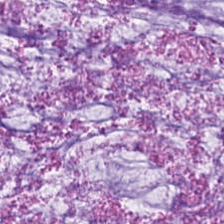H&E-stained tissue section. Predominant tissue: extracellular mucin.
